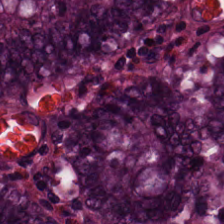H&E stain — Showing normal colon mucosa.
